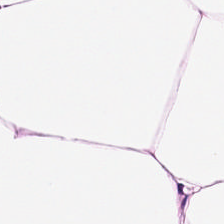Hematoxylin and eosin.
Q: What type of tissue is this?
A: This is adipose tissue.
